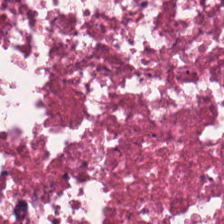This field is necrotic debris.
